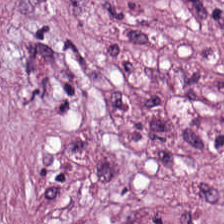H&E-stained tissue section. This field is desmoplastic stroma.
